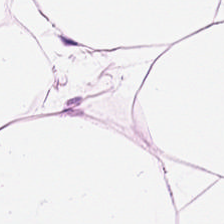Brightfield microscopy; H&E.
Tissue — adipose.
